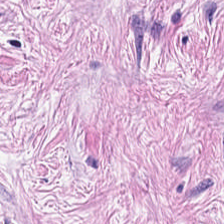Tissue type: desmoplastic stroma.
